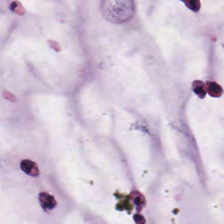H&E. Predominantly extracellular mucin.
